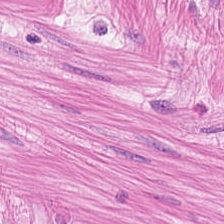Stain: H&E-stained tissue section.
Acquisition: whole-slide-image patch.
Tissue class: muscularis.
